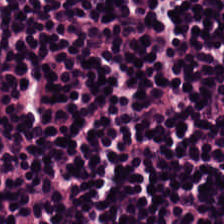Hematoxylin and eosin; brightfield microscopy — This patch shows lymphoid infiltrate.
